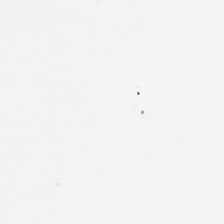Formalin-fixed paraffin-embedded section · H&E-stained tissue section.
Classification = background.
